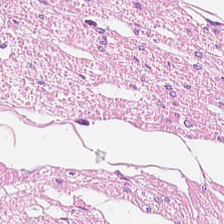Whole-slide-image patch; hematoxylin and eosin. Tissue — smooth muscle.
